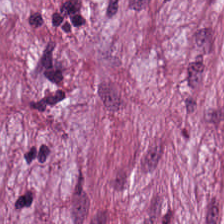Hematoxylin and eosin. Q: What does this patch show?
A: The field shows cancer-associated stroma.
